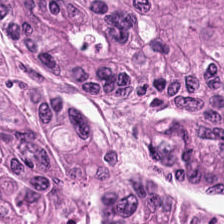Stain: H&E.
Tissue class: colorectal adenocarcinoma epithelium.
